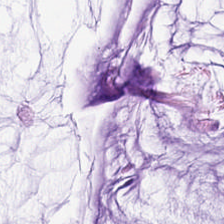0.5 µm/px; H&E stain; 224×224 px tile. This field is mucin.
